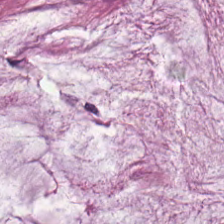Hematoxylin and eosin; brightfield microscopy. Q: What tissue type is shown here?
A: It is extracellular mucin.
